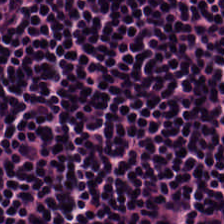H&E. Showing lymphocytes.
